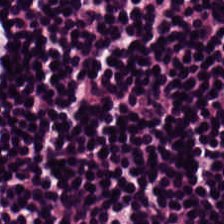{"tissue_type": "lymphocytes"}
